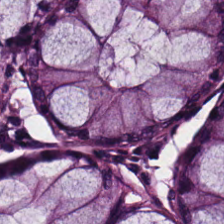Stain: H&E stain.
Predominant tissue: non-neoplastic colon mucosa.
